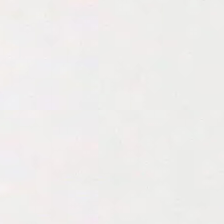Hematoxylin-and-eosin stained section — Content = background.
